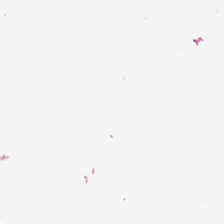H&E-stained tissue section — Q: What is shown in this field?
A: The field shows background.
